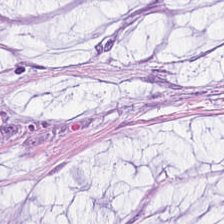H&E-stained tissue section.
The predominant tissue is mucus.
